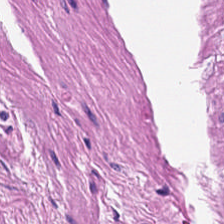Stain: H&E-stained tissue section.
Preparation: formalin-fixed paraffin-embedded section.
Tissue type: smooth muscle.
